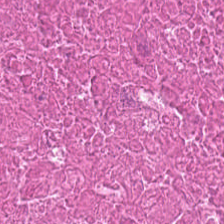H&E — Tissue type: necrotic debris.
